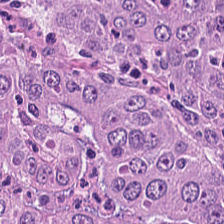H&E — This patch shows colorectal adenocarcinoma.
